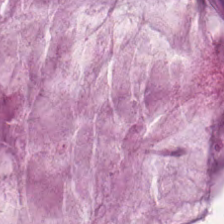Classification: extracellular mucin.
